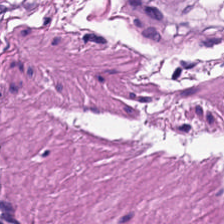Impression → smooth-muscle tissue.
